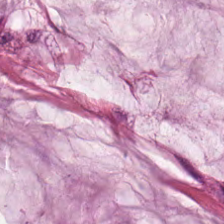H&E. Histology → extracellular mucin.
